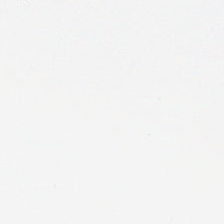This patch shows background.
